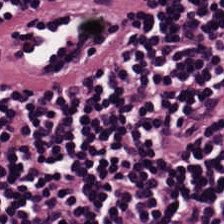Lymphocytes.
